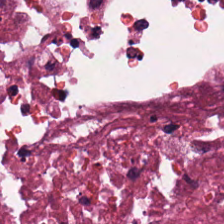Hematoxylin and eosin; 0.5 µm/px. The predominant tissue is cellular debris.
